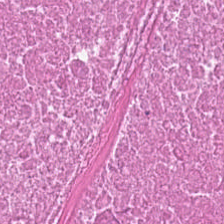0.5 µm/px; H&E; FFPE — {"tissue_type": "necrotic debris"}
